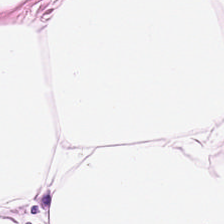Whole-slide-image patch. H&E-stained tissue section. FFPE. {"tissue_type": "adipose tissue"}
